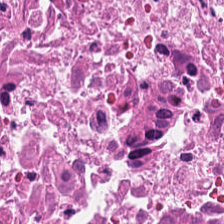Stain: hematoxylin and eosin.
Predominant tissue: debris.
